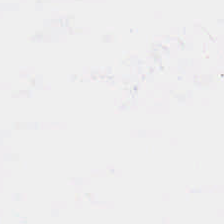H&E. Classification — no tissue.
